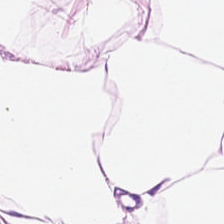Finding → adipocytes.
